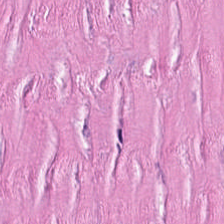Hematoxylin and eosin.
The classification is tumor-associated stroma.
